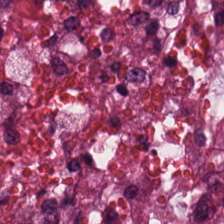FFPE. H&E stain. Whole-slide-image patch. Q: Identify the tissue.
A: The field shows necrotic debris.
